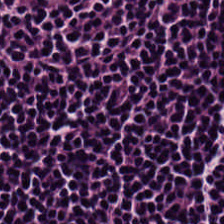Hematoxylin and eosin.
{"tissue_type": "lymphoid infiltrate"}
